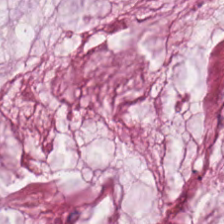Stain: hematoxylin-and-eosin stained section.
Tissue type: mucus.
